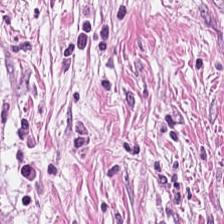H&E stain — Tissue class = tumor-associated stroma.
